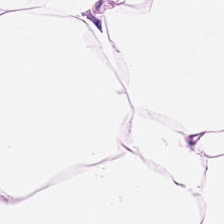WSI patch · hematoxylin and eosin. Predominantly fat tissue.
